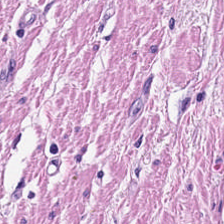Impression — smooth-muscle tissue.
